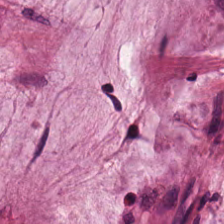FFPE · 0.5 µm/px · H&E stain.
Tissue type — mucus.
